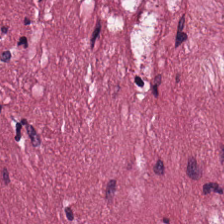Hematoxylin-and-eosin stained section — Q: What tissue is shown?
A: This is tumor stroma.
